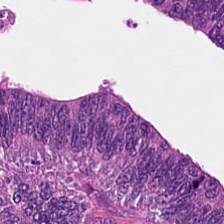H&E stain. 0.5 µm per pixel — Predominant tissue: tumor epithelium.
